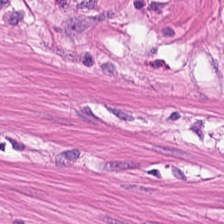0.5 µm/px. H&E-stained tissue section — The predominant tissue is muscularis.
